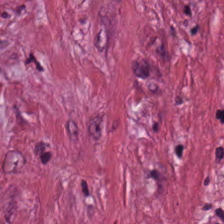Classification: cancer-associated stroma.
